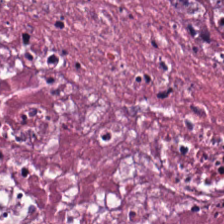Hematoxylin and eosin.
Tissue: debris.
